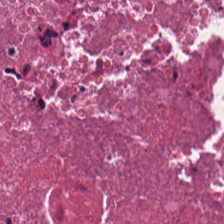H&E.
This field is necrotic debris.
